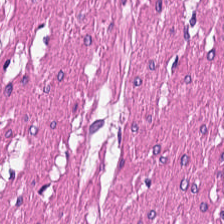Q: What type of tissue is this?
A: It is smooth-muscle tissue.
